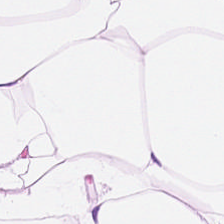H&E.
{"tissue_type": "adipose tissue"}
